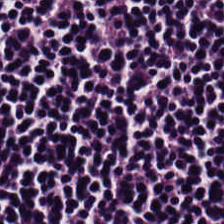FFPE tissue section; H&E-stained tissue section. Lymphocytes.
